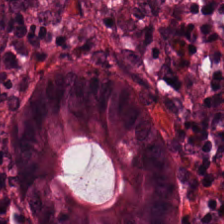H&E-stained tissue section. 224×224 px tile. Q: Classify this patch.
A: It is normal colonic mucosa.
